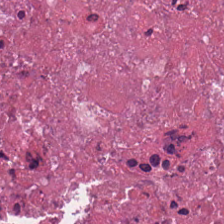H&E-stained tissue section.
Q: What is shown here?
A: This is necrotic debris.
